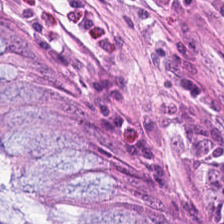Hematoxylin and eosin · 0.5 microns per pixel — Normal colonic mucosa.
